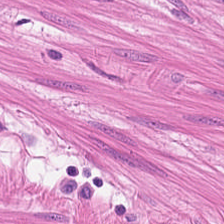Stain: H&E-stained tissue section.
Classification: smooth muscle.
